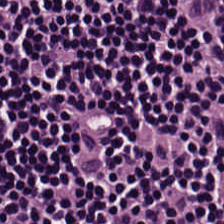H&E — The predominant tissue is lymphocyte aggregate.
